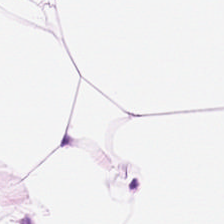The tissue type is fat tissue.
